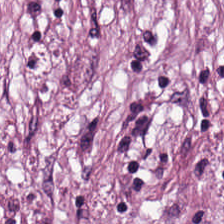Tissue class — cancer-associated stroma.
